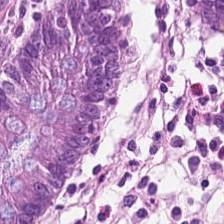Hematoxylin-and-eosin stained section.
Predominant tissue: normal colonic mucosa.
